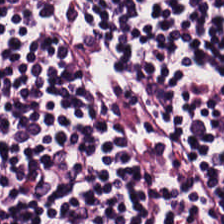{"tissue_type": "lymphocyte aggregate"}
